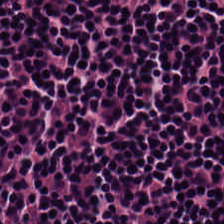H&E · 224×224 px tile.
Predominant tissue: lymphocyte aggregate.
